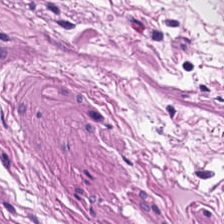H&E · 224×224 px patch.
{"tissue_type": "smooth-muscle tissue"}
